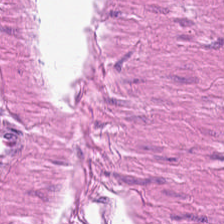Stain: H&E stain.
Acquisition: brightfield.
Preparation: FFPE.
Classification: muscularis.
